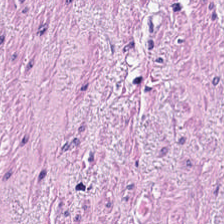Stain: H&E.
Acquisition: brightfield.
Preparation: FFPE.
Tissue type: smooth muscle.
